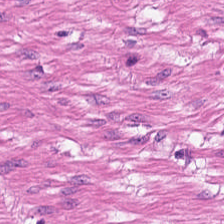Formalin-fixed paraffin-embedded section; 224×224 px tile; hematoxylin and eosin.
Impression — smooth muscle.
